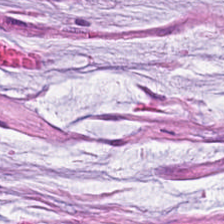The tissue here is mucin.
